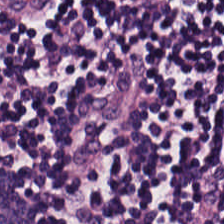Impression → lymphocytic infiltrate.
